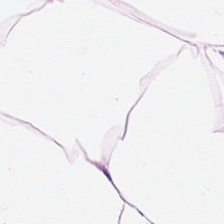H&E stain. Fat tissue.
